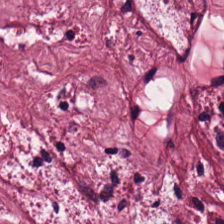Hematoxylin-and-eosin stained section.
Q: What is shown here?
A: The field shows cancer-associated stroma.
